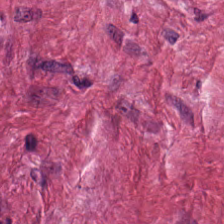H&E stain. This field is cancer-associated stroma.
